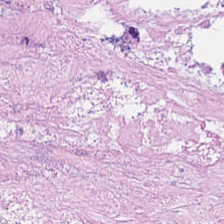H&E stain.
Histology — debris.
